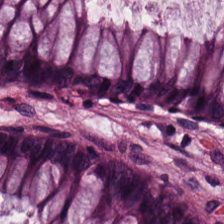Stain: hematoxylin and eosin.
Tissue class: normal colonic mucosa.
